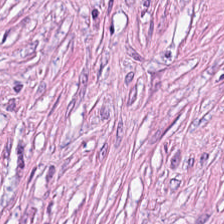Predominant tissue: tumor-associated stroma.
